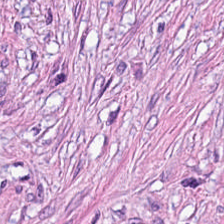Hematoxylin and eosin. Predominantly cancer-associated stroma.
